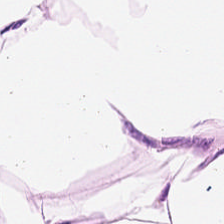Hematoxylin-and-eosin stained section. FFPE tissue section. The predominant tissue is adipose.
